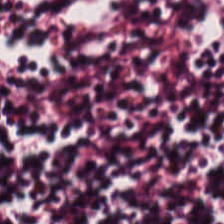H&E stain; 20× equivalent magnification.
Tissue class: lymphoid infiltrate.
